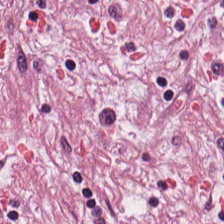Stain: H&E.
Preparation: FFPE tissue section.
Predominant tissue: cancer-associated stroma.
